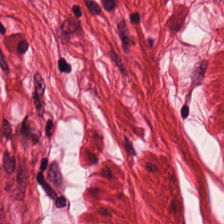Q: What tissue type is shown here?
A: It is smooth-muscle tissue.
